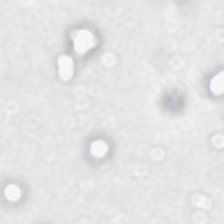H&E; FFPE.
Q: What is shown here?
A: It is background (no tissue).
